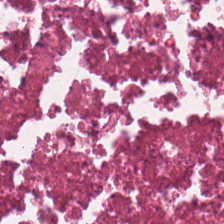Hematoxylin and eosin. Q: Identify the tissue.
A: Debris.
